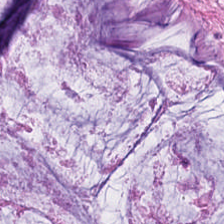H&E — Mucus.
